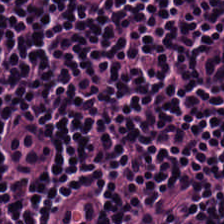H&E-stained tissue section — {"tissue_type": "lymphoid infiltrate"}
